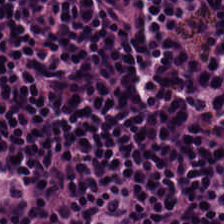Tissue type: lymphocytes.
